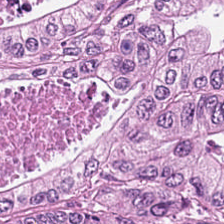H&E-stained tissue section — Finding → malignant epithelium.
